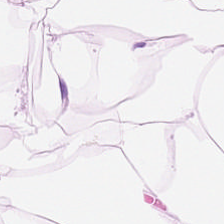H&E stain.
This field is fat tissue.
